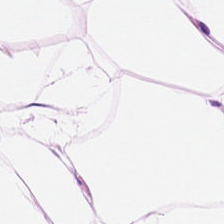Tissue class: adipose tissue.
